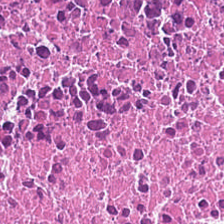0.5 microns per pixel · H&E stain. This patch shows debris.
